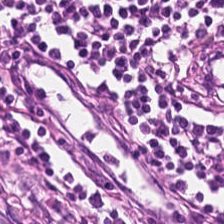0.5 microns per pixel · H&E-stained tissue section — Predominantly lymphocytic infiltrate.
